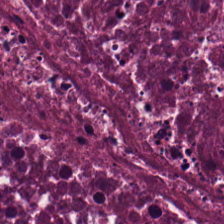Hematoxylin and eosin.
Predominant tissue: debris.
